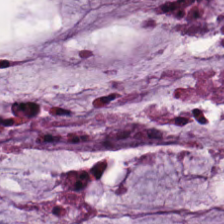FFPE tissue section. H&E stain.
Showing mucin.
